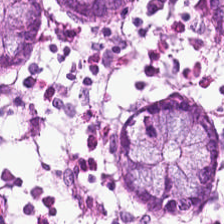224×224 px tile. Hematoxylin-and-eosin stained section — Predominant tissue: benign colonic mucosa.
